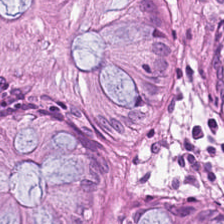{"tissue_type": "normal colonic mucosa"}
